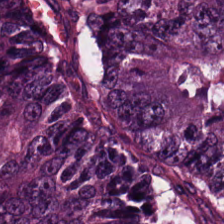Hematoxylin-and-eosin stained section — The predominant tissue is malignant epithelium.
